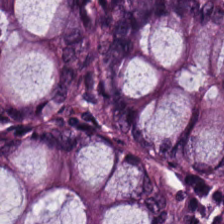H&E patch showing normal colonic mucosa.
